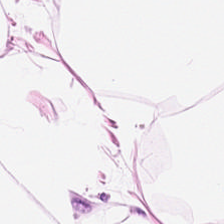Hematoxylin-and-eosin stained section — {"tissue_type": "fat tissue"}
